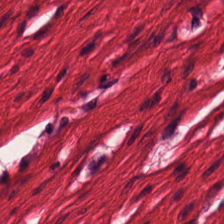Finding → muscularis.
